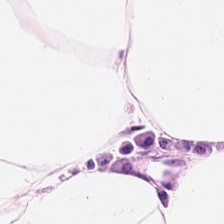Hematoxylin and eosin.
Adipose tissue.
